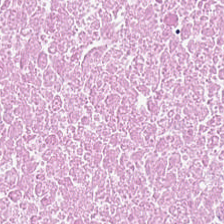The predominant tissue is debris.
